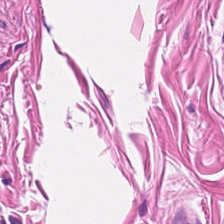Hematoxylin and eosin. Impression — muscularis.
